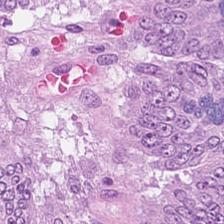Hematoxylin-and-eosin stained section; 0.5 µm/px — The tissue type is tumor epithelium.
